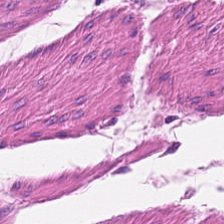Hematoxylin-and-eosin stained section.
The predominant tissue is smooth muscle.
